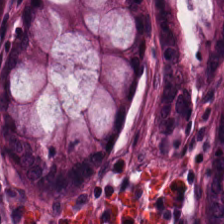224×224 px tile. 0.5 µm per pixel. Hematoxylin-and-eosin stained section.
{"tissue_type": "normal colon mucosa"}
